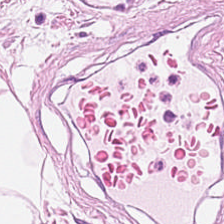Hematoxylin and eosin; brightfield — Adipose.
